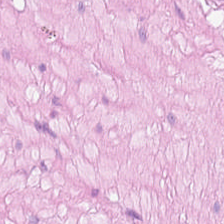0.5 microns per pixel. Formalin-fixed paraffin-embedded section. Hematoxylin and eosin — Classification: smooth-muscle tissue.
